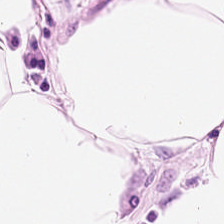H&E stain. Predominant tissue — fat tissue.
